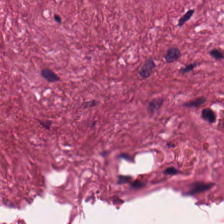H&E-stained tissue section; formalin-fixed paraffin-embedded section; 0.5 microns per pixel.
This patch shows tumor stroma.
